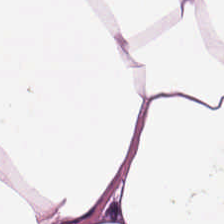Stain: H&E stain.
Preparation: FFPE tissue section.
Tile size: 224×224 px patch.
Tissue type: adipose tissue.
